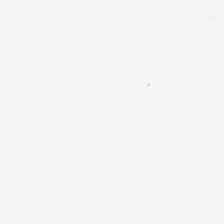0.5 microns per pixel. H&E-stained tissue section. WSI patch. {"content": "background (no tissue)"}
